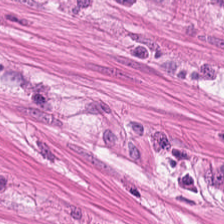Brightfield microscopy · 0.5 microns per pixel · H&E-stained tissue section — Predominantly smooth muscle.
